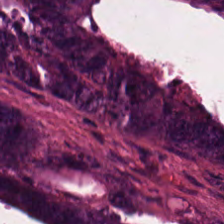FFPE; H&E stain; brightfield microscopy.
Tissue type — tumor epithelium.
